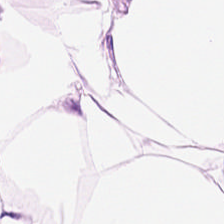H&E-stained tissue section. The tissue class is adipose.
